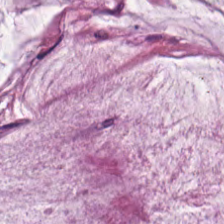H&E-stained tissue section. The predominant tissue is mucin.
